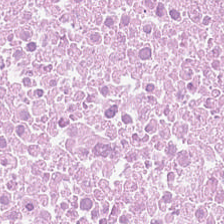H&E stain. Histology — necrotic debris.
